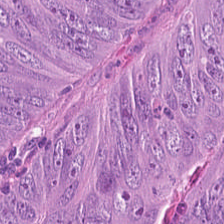Hematoxylin-and-eosin stained section — This patch shows colorectal adenocarcinoma.
